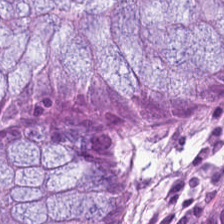FFPE. 20× equivalent magnification. Hematoxylin and eosin — Q: Identify the tissue.
A: Normal colon mucosa.
